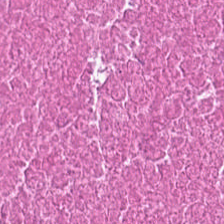Hematoxylin and eosin — Finding → necrotic debris.
